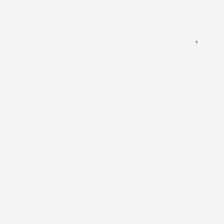Hematoxylin and eosin — {"content": "background"}
